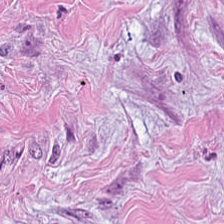Hematoxylin and eosin; FFPE tissue section — Q: What type of tissue is this?
A: Cancer-associated stroma.
